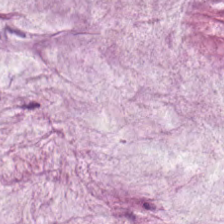Hematoxylin-and-eosin stained section — The tissue here is mucus.
